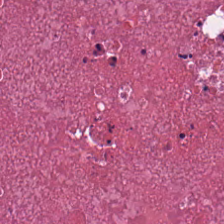H&E. The tissue is cellular debris.
